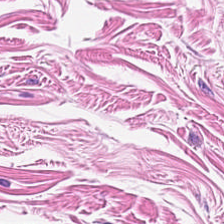H&E · FFPE · WSI patch. Tissue class = smooth muscle.
